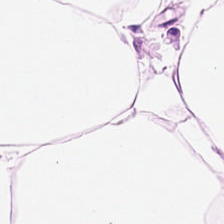Stain: H&E-stained tissue section.
Tile size: 224×224 px patch.
Acquisition: brightfield microscopy.
Tissue class: fat tissue.
